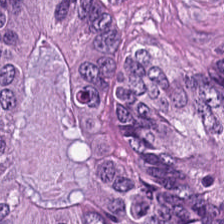Stain: H&E.
Acquisition: whole-slide-image patch.
Classification: colorectal adenocarcinoma epithelium.
